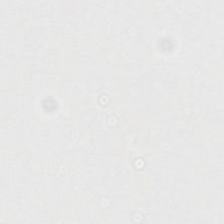H&E-stained tissue section.
Impression → background (no tissue).
